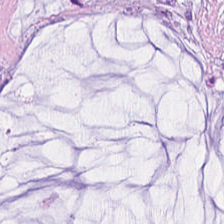H&E-stained tissue section. Whole-slide-image patch — Tissue type: mucus.
